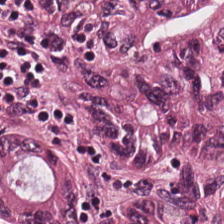Hematoxylin and eosin — Q: Identify the tissue.
A: The field shows malignant epithelium.
